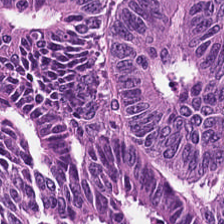H&E. Q: Classify this patch.
A: The field shows adenocarcinoma.
